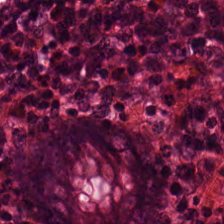This patch shows non-neoplastic colon mucosa.
